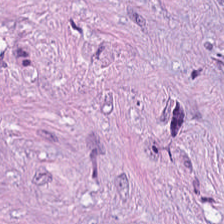224×224 pixel tile · formalin-fixed paraffin-embedded section · hematoxylin and eosin. The tissue type is cancer-associated stroma.
